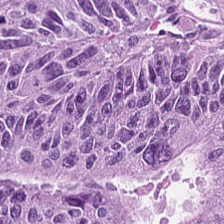20× equivalent magnification · H&E-stained tissue section · whole-slide-image patch. Adenocarcinoma.
